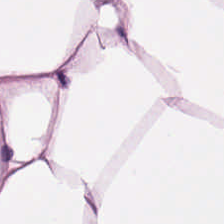Stain: H&E stain.
Acquisition: WSI patch.
Tissue type: adipose tissue.
